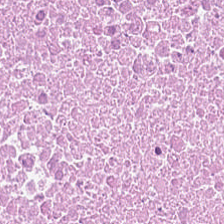Brightfield. H&E-stained tissue section. 224×224 pixel tile — Finding — necrotic debris.
